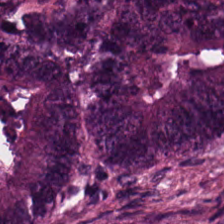H&E stain. Tissue class — colorectal adenocarcinoma epithelium.
